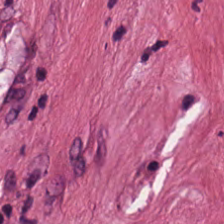H&E.
Impression → cancer-associated stroma.
